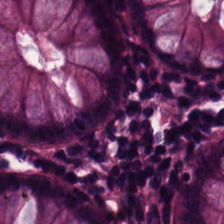0.5 µm/px. Brightfield. H&E. Normal colon mucosa.
